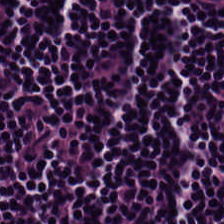H&E-stained tissue section — Impression → lymphocytic infiltrate.
